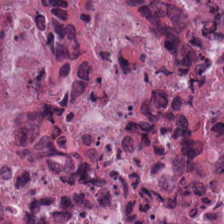Classification: debris.
